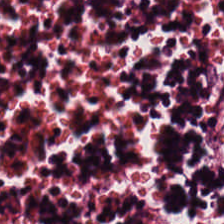Hematoxylin-and-eosin stained section.
This field is lymphoid infiltrate.
